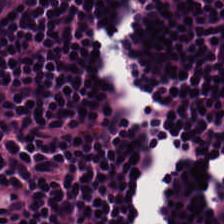H&E-stained tissue section — Tissue type = lymphocytic infiltrate.
